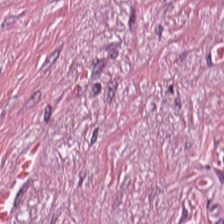WSI patch · H&E.
Tissue type — desmoplastic stroma.
